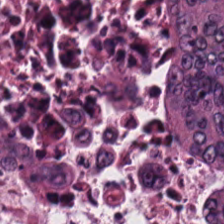H&E. 0.5 µm/px.
Q: What is shown here?
A: The field shows tumor epithelium.
